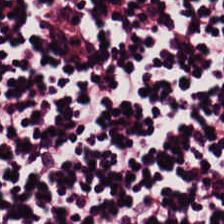Tissue type = lymphocyte aggregate.
